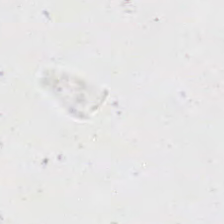H&E stain.
Content — empty background.
